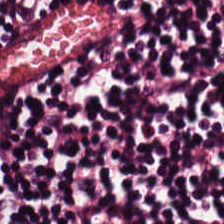The predominant tissue is lymphocytes.
